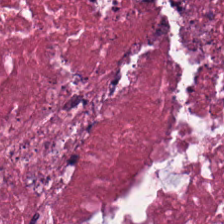Stain: H&E stain.
Predominant tissue: debris.
